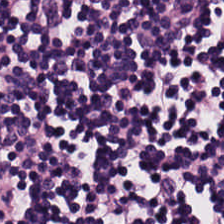Q: What tissue is shown?
A: Lymphocytic infiltrate.
